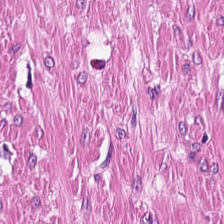H&E-stained tissue section — Smooth muscle.
